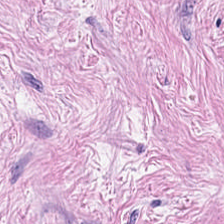224×224 px patch; formalin-fixed paraffin-embedded section; hematoxylin-and-eosin stained section.
{"tissue_type": "desmoplastic stroma"}
